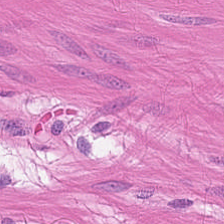H&E · FFPE — This field is muscularis.
